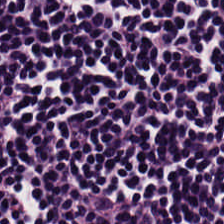20× equivalent magnification · FFPE tissue section · H&E stain — The classification is lymphoid infiltrate.
